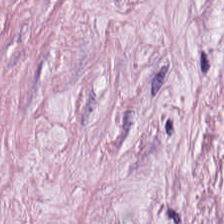H&E stain. 20× equivalent magnification. Brightfield microscopy.
Q: What tissue is shown?
A: Cancer-associated stroma.
